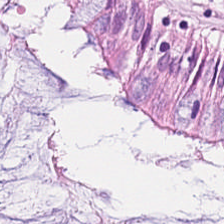WSI patch · 0.5 µm/px · hematoxylin-and-eosin stained section — Showing normal colonic mucosa.
